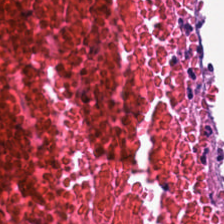Hematoxylin-and-eosin stained section. Histology — debris.
